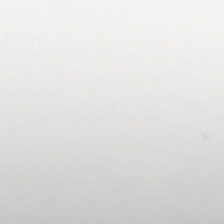H&E stain. Q: Classify this patch.
A: This is background.
